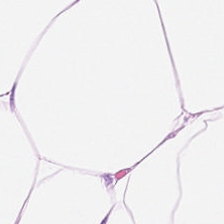H&E stain. This patch shows fat tissue.
